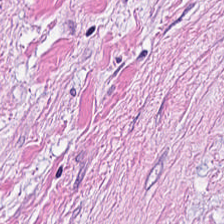WSI patch. Hematoxylin and eosin. FFPE tissue section — The predominant tissue is cancer-associated stroma.
